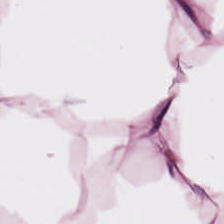H&E-stained tissue section · 0.5 µm per pixel.
This patch shows adipose.
